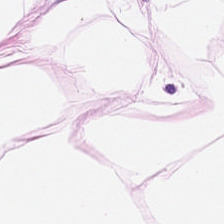Hematoxylin-and-eosin stained section. 0.5 microns per pixel.
This field is adipose.
